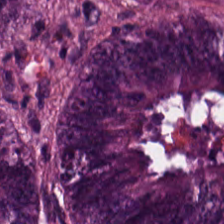H&E. FFPE — Showing colorectal adenocarcinoma epithelium.
